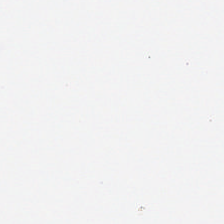Hematoxylin-and-eosin stained section. Content — no tissue.
